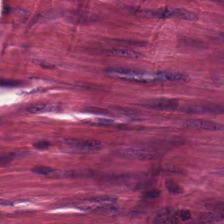Stain: H&E stain.
Predominant tissue: cancer-associated stroma.
